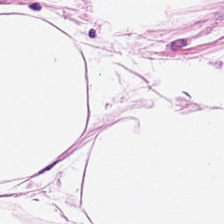The tissue type is adipose tissue.
